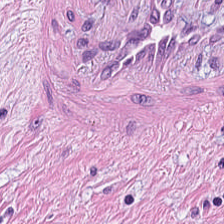Hematoxylin-and-eosin stained section · 224×224 pixel tile. Desmoplastic stroma.
